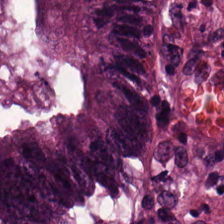{"tissue_type": "tumor epithelium"}
